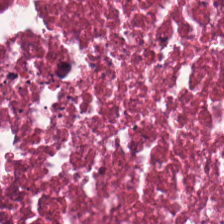{"tissue_type": "cellular debris"}
